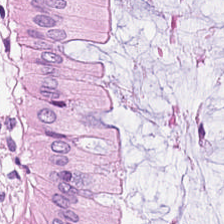Stain: H&E.
Acquisition: WSI patch.
Tissue class: benign colonic mucosa.
